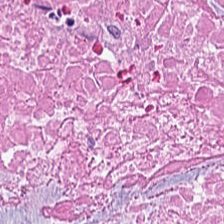Finding — debris.
